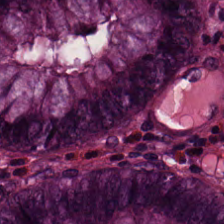0.5 µm per pixel. Hematoxylin-and-eosin stained section.
Showing normal colon mucosa.
